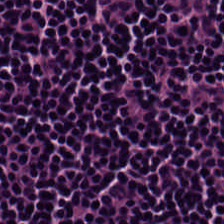Stain: H&E-stained tissue section.
Resolution: 0.5 µm/px.
Acquisition: brightfield microscopy.
Tissue type: lymphoid infiltrate.
